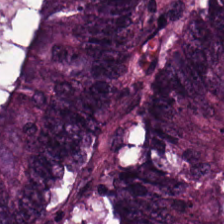The predominant tissue is colorectal adenocarcinoma.
